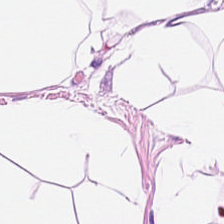Hematoxylin and eosin; whole-slide-image patch.
Tissue type = adipocytes.
